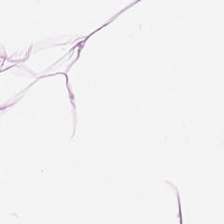H&E — Finding — adipocytes.
